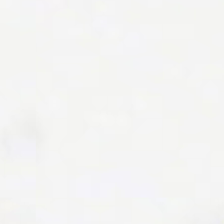H&E-stained tissue section.
Q: Classify this patch.
A: It is background (no tissue).
